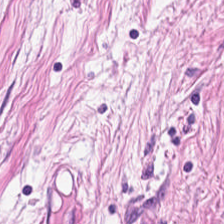224×224 px patch; H&E. Q: What type of tissue is this?
A: It is cancer-associated stroma.
